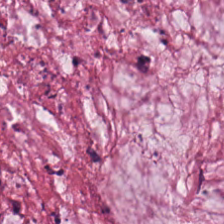H&E-stained tissue section.
Q: What is shown here?
A: It is mucin.
